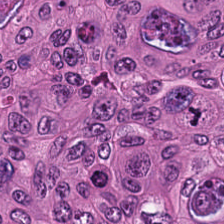Impression — colorectal adenocarcinoma.
